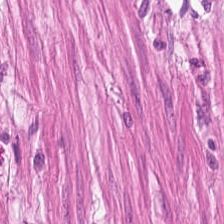H&E-stained tissue section. {"tissue_type": "smooth-muscle tissue"}
